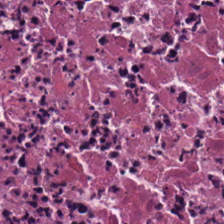Hematoxylin and eosin.
The tissue type is necrotic debris.
